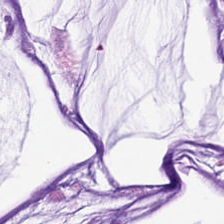Hematoxylin-and-eosin section: mucin.
